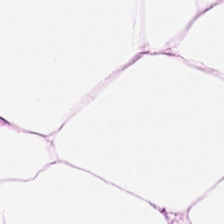Q: What does this patch show?
A: It is adipose tissue.
